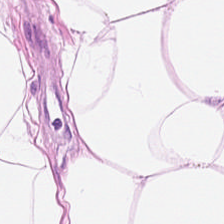Predominant tissue — fat tissue.
